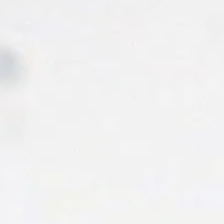Stain: H&E stain.
Tile size: 224×224 px patch.
Field content: empty background.
